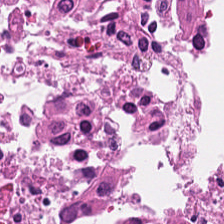H&E · brightfield — Predominant tissue: debris.
